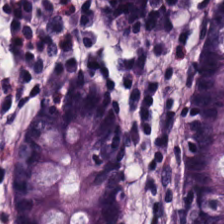FFPE tissue section; H&E; 224×224 px patch. Tissue — normal colon mucosa.
